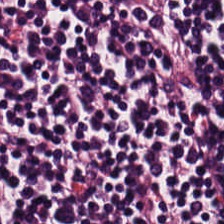0.5 µm/px. H&E-stained tissue section. Q: What tissue is shown?
A: Lymphocyte aggregate.
